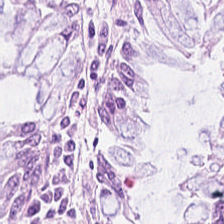H&E stain. This patch shows non-neoplastic colon mucosa.
